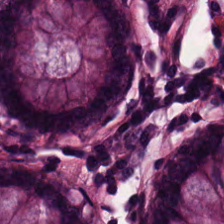H&E.
Benign colonic mucosa.
